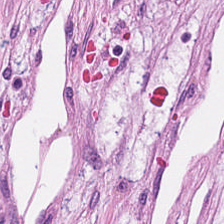FFPE tissue section. 224×224 px patch. Hematoxylin-and-eosin stained section — Tissue type: tumor stroma.
